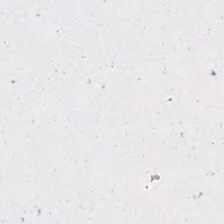Q: What is shown here?
A: The field shows empty background.
